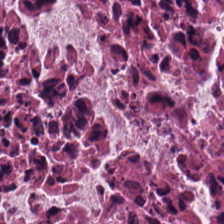Q: What tissue type is shown here?
A: This is debris.
